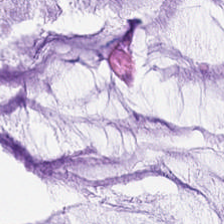Classification: extracellular mucin.
